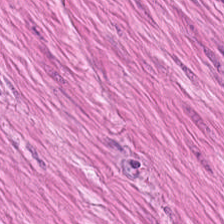This patch shows smooth-muscle tissue.
